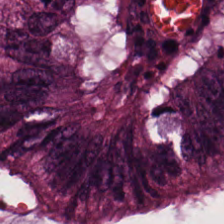Stain: H&E stain.
Resolution: 0.5 microns per pixel.
Preparation: formalin-fixed paraffin-embedded section.
Classification: malignant epithelium.
